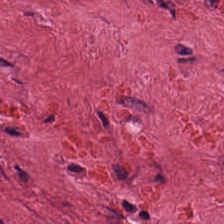H&E-stained tissue section · 224×224 pixel tile — Predominantly desmoplastic stroma.
